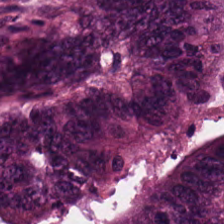H&E-stained tissue section showing malignant epithelium.
